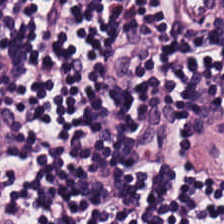H&E. FFPE tissue section. 224×224 px patch.
This patch shows lymphocytic infiltrate.
